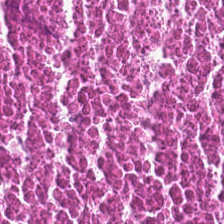224×224 pixel tile · hematoxylin and eosin — Showing cellular debris.
